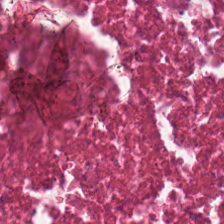Hematoxylin-and-eosin stained section. FFPE — {"tissue_type": "cellular debris"}
